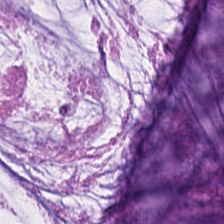Stain: H&E-stained tissue section.
Tile size: 224×224 px patch.
Preparation: formalin-fixed paraffin-embedded section.
Predominant tissue: mucin.
